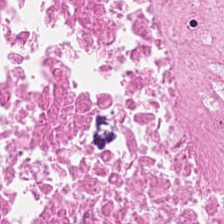H&E; whole-slide-image patch. The predominant tissue is debris.
